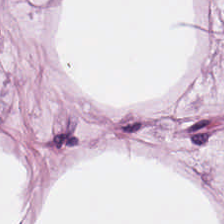H&E stain. The classification is adipose.
